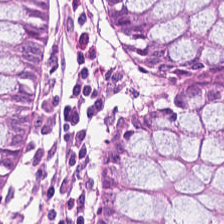Brightfield microscopy. H&E stain.
Tissue class — non-neoplastic colon mucosa.
